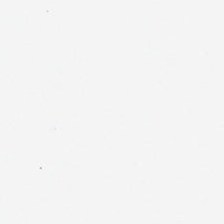Stain: H&E stain.
Preparation: FFPE tissue section.
Classification: no tissue.
